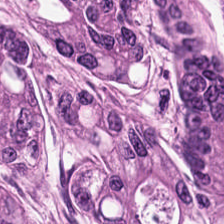Hematoxylin and eosin.
The predominant tissue is adenocarcinoma.
